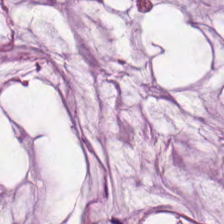Classification = extracellular mucin.
